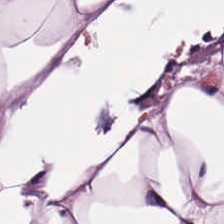Hematoxylin and eosin. Q: What tissue type is shown here?
A: The field shows adipocytes.
